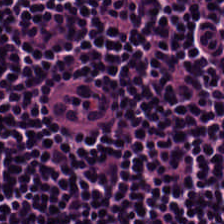FFPE tissue section. Hematoxylin-and-eosin stained section. 0.5 µm per pixel. Impression → lymphoid infiltrate.
